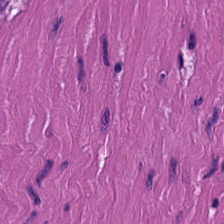This patch shows smooth-muscle tissue.
